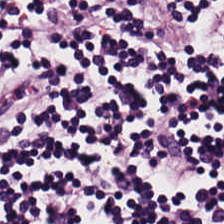H&E stain. 0.5 µm per pixel. FFPE tissue section.
Impression — lymphocytes.
